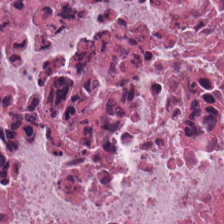H&E stain; 224×224 px patch — Tissue type — cellular debris.
